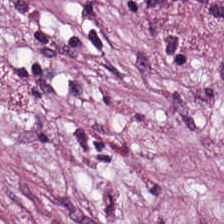H&E stain.
Q: What does this patch show?
A: This is tumor-associated stroma.
